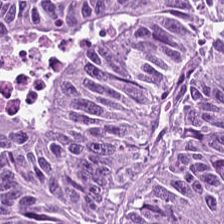H&E.
The tissue here is tumor epithelium.
